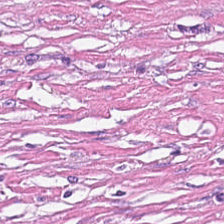Hematoxylin and eosin. The predominant tissue is desmoplastic stroma.
